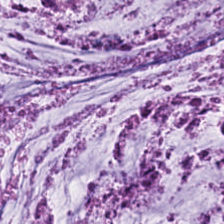Tissue class: mucus.
